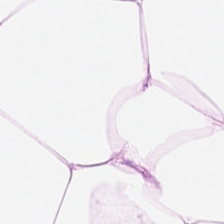Hematoxylin and eosin.
Predominantly fat tissue.
